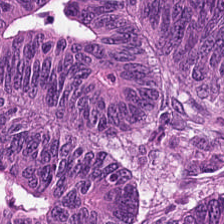Hematoxylin-and-eosin stained section — The predominant tissue is malignant epithelium.
